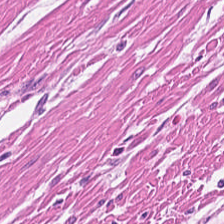H&E stain. Smooth muscle.
